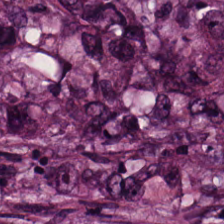Predominant tissue: colorectal adenocarcinoma.
